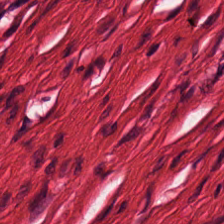Brightfield microscopy. 224×224 px tile. H&E stain — Q: Identify the tissue.
A: The field shows smooth-muscle tissue.
